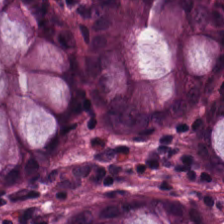Hematoxylin and eosin · formalin-fixed paraffin-embedded section.
Q: What is shown in this field?
A: This is normal colonic mucosa.
